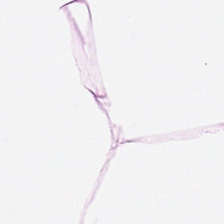Hematoxylin-and-eosin stained section.
Histology → adipose tissue.
